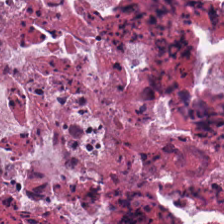Hematoxylin and eosin — Showing necrotic debris.
